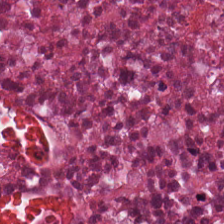Hematoxylin-and-eosin stained section.
Impression — necrotic debris.
